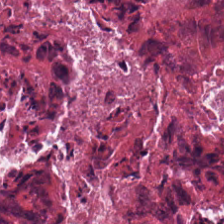0.5 microns per pixel · H&E.
Showing necrotic debris.
